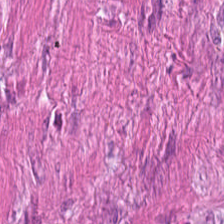H&E-stained tissue section. 20× equivalent magnification — Finding — smooth-muscle tissue.
